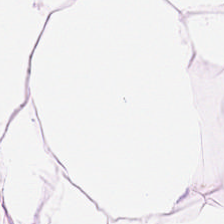0.5 microns per pixel. H&E-stained tissue section. {"tissue_type": "adipose"}
